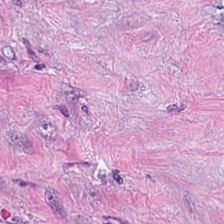224×224 pixel tile; hematoxylin-and-eosin stained section; FFPE tissue section. Q: What tissue is shown?
A: Tumor stroma.
